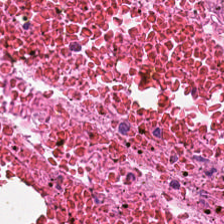H&E-stained tissue section.
The tissue is cellular debris.
